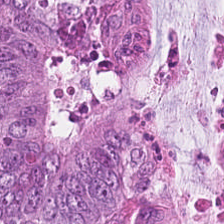H&E-stained tissue section — Malignant epithelium.
